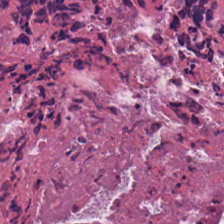H&E · 20× equivalent magnification.
The tissue here is necrotic debris.
